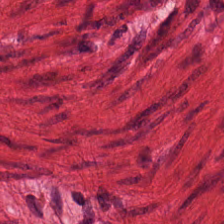H&E-stained tissue section. FFPE — Tissue type: muscularis.
